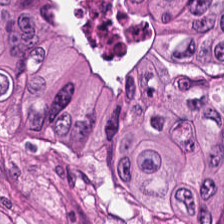H&E. Predominantly colorectal adenocarcinoma epithelium.
